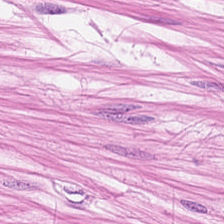FFPE; 224×224 pixel tile; H&E. Predominantly smooth muscle.
